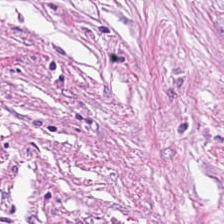H&E-stained tissue section.
{"tissue_type": "tumor stroma"}
